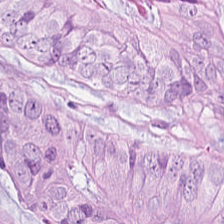Hematoxylin and eosin.
Predominant tissue: adenocarcinoma.
